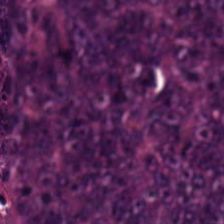H&E-stained tissue section. FFPE tissue section. 20× equivalent magnification.
Showing tumor epithelium.
